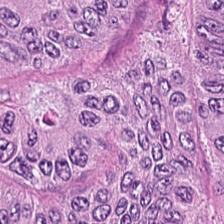Hematoxylin and eosin. The tissue here is colorectal adenocarcinoma.
